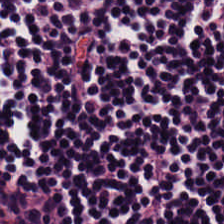H&E stain — Predominantly lymphocytes.
